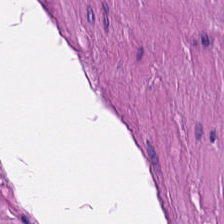H&E stain. FFPE — Q: What does this patch show?
A: Muscularis.
